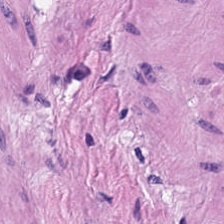Formalin-fixed paraffin-embedded section. Hematoxylin-and-eosin stained section.
Tissue class = muscularis.
